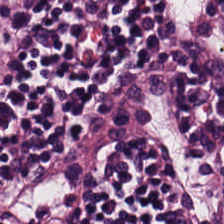Hematoxylin and eosin · brightfield microscopy. Tissue type: lymphoid infiltrate.
